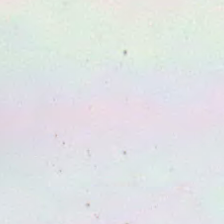Hematoxylin and eosin; 0.5 µm per pixel. Background.
